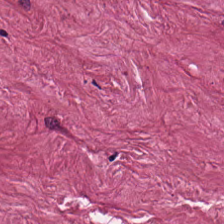Hematoxylin and eosin. Tissue class: cancer-associated stroma.
